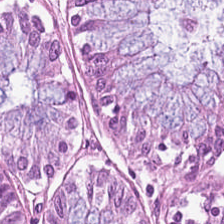H&E-stained tissue section. Predominantly non-neoplastic colon mucosa.
